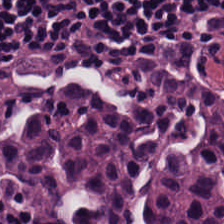H&E stain. This field is lymphocytes.
